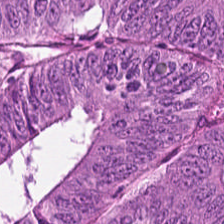Hematoxylin and eosin. Tissue type — adenocarcinoma.
